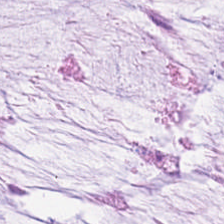Stain: H&E-stained tissue section.
Classification: extracellular mucin.
